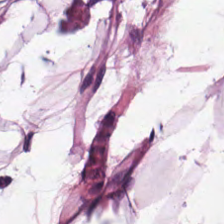Hematoxylin and eosin — Q: What is the predominant tissue type?
A: It is adipocytes.
